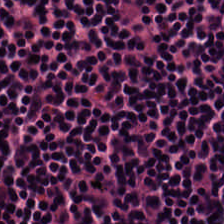H&E-stained tissue section. Q: What is shown here?
A: This is lymphocytes.
